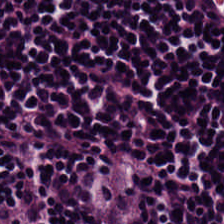Lymphoid infiltrate.
